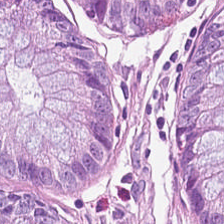Hematoxylin-and-eosin section: non-neoplastic colon mucosa.
